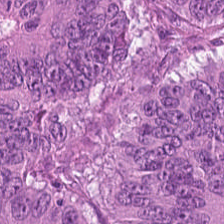Stain: H&E-stained tissue section.
Classification: tumor epithelium.
